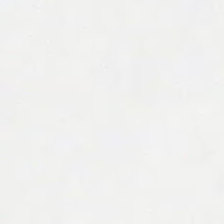Hematoxylin and eosin. FFPE tissue section. 224×224 px tile — No tissue present; background only.
